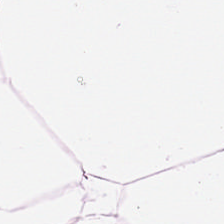H&E-stained tissue section; 0.5 µm/px; formalin-fixed paraffin-embedded section — Tissue — adipocytes.
